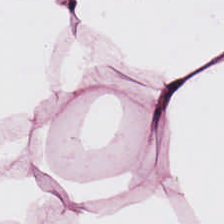WSI patch · H&E. Classification = adipose.
